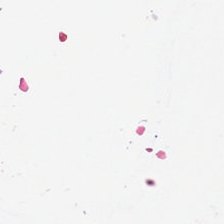Brightfield; 0.5 µm per pixel; H&E-stained tissue section. Impression → background (no tissue).
